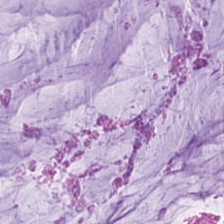Brightfield microscopy; 224×224 px patch; H&E-stained tissue section — Classification = extracellular mucin.
